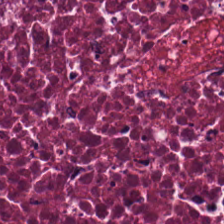Tissue type: cellular debris.
